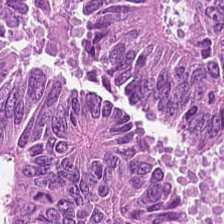Tissue: colorectal adenocarcinoma.
